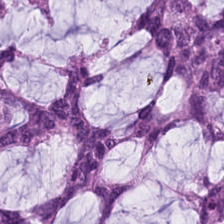WSI patch; hematoxylin-and-eosin stained section — Tissue type — extracellular mucin.
